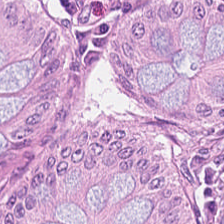Impression → benign colonic mucosa.
